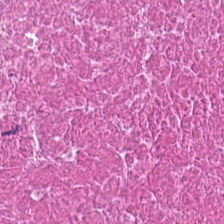Classification = cellular debris.
